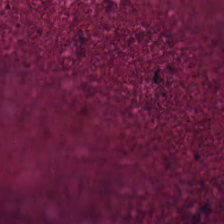Stain: H&E-stained tissue section.
Predominant tissue: cellular debris.
